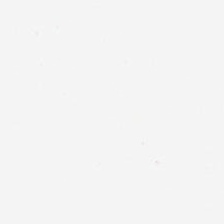Stain: hematoxylin and eosin.
Tile size: 224×224 px tile.
Field content: background (no tissue).
